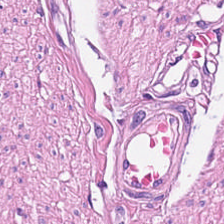H&E stain. Impression — smooth-muscle tissue.
